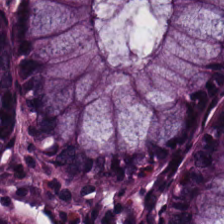Q: What is shown here?
A: The field shows normal colon mucosa.
